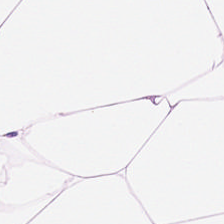Adipose tissue.
